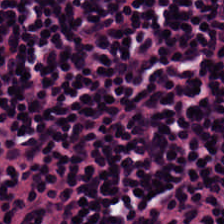H&E patch showing lymphocytes.
